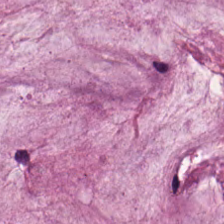Hematoxylin-and-eosin stained section — Histology — mucus.
